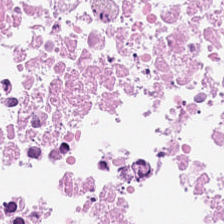Hematoxylin and eosin — This patch shows necrotic debris.
